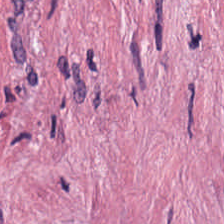Q: What is shown here?
A: This is tumor-associated stroma.
